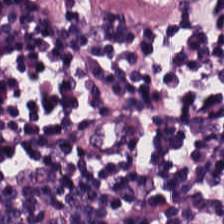224×224 pixel tile. 20× equivalent magnification. H&E-stained tissue section — Histology → lymphocytes.
